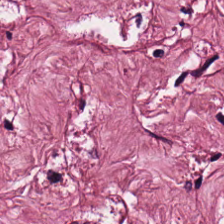H&E-stained tissue section.
The predominant tissue is tumor-associated stroma.
